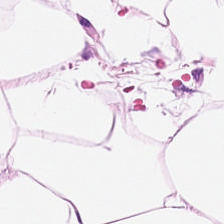Stain: hematoxylin and eosin.
Tissue: fat tissue.
